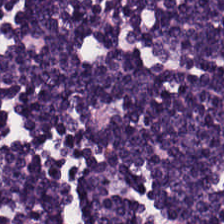Hematoxylin and eosin — Q: What is shown in this field?
A: The field shows lymphoid infiltrate.
